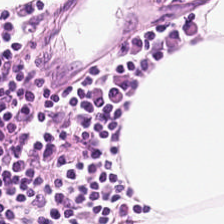H&E-stained tissue section.
This field is adipose.
